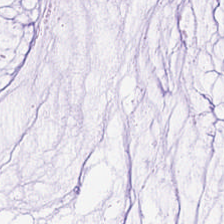Classification = mucin.
